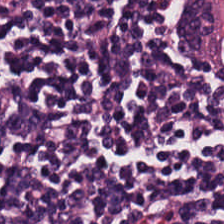Stain: H&E.
Tile size: 224×224 pixel tile.
Classification: lymphocytic infiltrate.
